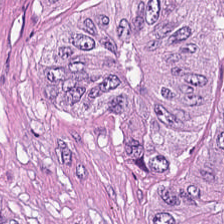Impression — tumor epithelium.
